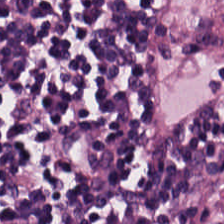FFPE tissue section. Hematoxylin and eosin. The predominant tissue is lymphocyte aggregate.
